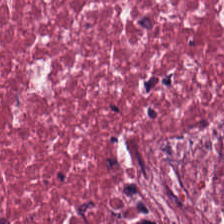Impression — tumor stroma.
